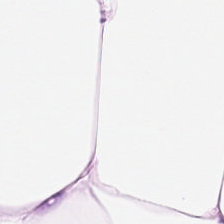Stain: hematoxylin-and-eosin stained section.
Tissue: adipose tissue.
